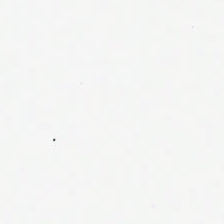224×224 px patch. WSI patch. Hematoxylin and eosin — The classification is background (no tissue).
